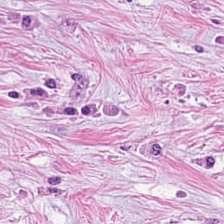H&E. Q: What type of tissue is this?
A: It is desmoplastic stroma.
